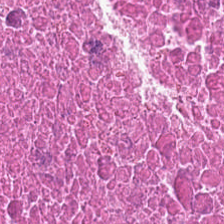Brightfield; hematoxylin and eosin.
Finding → necrotic debris.
